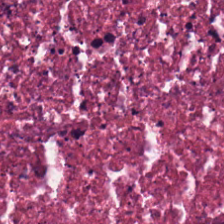Whole-slide-image patch; H&E stain; 0.5 µm/px.
Q: Identify the tissue.
A: Cellular debris.
